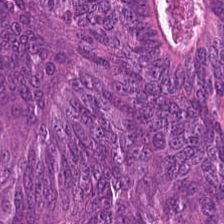Stain: H&E stain.
Acquisition: WSI patch.
Preparation: FFPE tissue section.
Tissue type: malignant epithelium.
